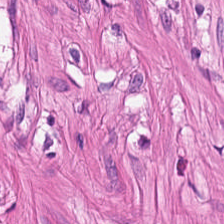Stain: H&E.
Tissue: smooth muscle.
